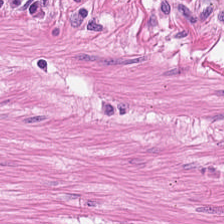Finding → muscularis.
